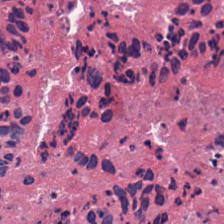{"tissue_type": "debris"}
